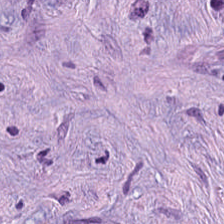H&E stain. Finding — tumor stroma.
